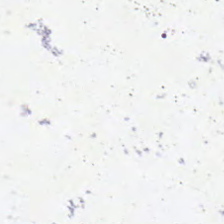H&E stain; FFPE tissue section; 224×224 px patch — The content is background (no tissue).
